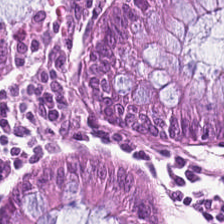H&E — The predominant tissue is benign colonic mucosa.
